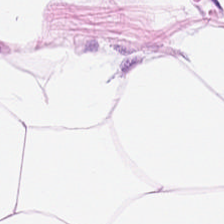Stain: H&E-stained tissue section.
Tissue type: adipose tissue.
